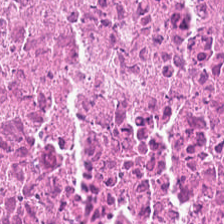Tissue type — necrotic debris.
